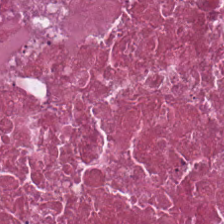H&E-stained tissue section. Brightfield microscopy. 0.5 µm/px. This patch shows necrotic debris.
